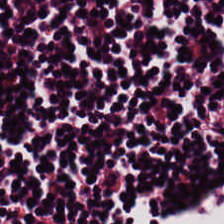H&E-stained tissue section; 224×224 pixel tile; FFPE tissue section — Q: What tissue is shown?
A: It is lymphocytes.
